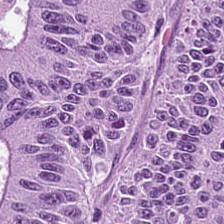Stain: hematoxylin and eosin.
Classification: malignant epithelium.
